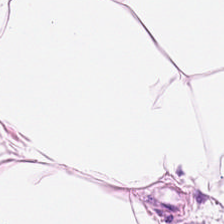This field is adipose tissue.
